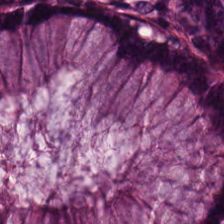224×224 pixel tile · H&E-stained tissue section — This field is benign colonic mucosa.
